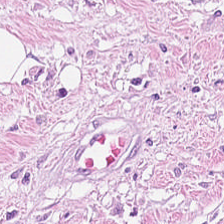Stain: hematoxylin-and-eosin stained section.
Resolution: 0.5 µm per pixel.
Classification: desmoplastic stroma.
